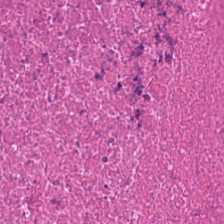224×224 pixel tile. H&E stain. WSI patch — The tissue here is debris.
